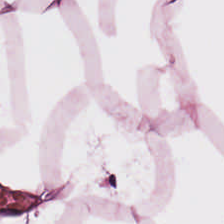The tissue type is fat tissue.
